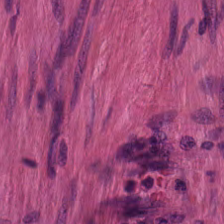Q: What tissue is shown?
A: It is muscularis.
